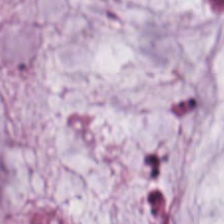WSI patch; hematoxylin and eosin; FFPE — Tissue class = mucin.
